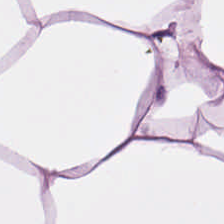Stain: H&E.
Resolution: 0.5 µm/px.
Tile size: 224×224 px tile.
Classification: adipocytes.
